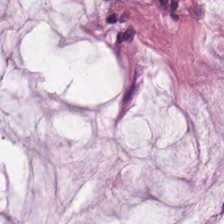Hematoxylin and eosin. Extracellular mucin.
